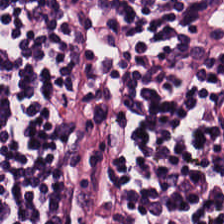Predominantly lymphocytic infiltrate.
